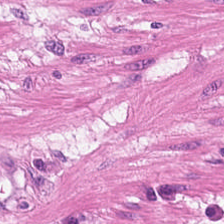H&E-stained tissue section. Tissue: muscularis.
